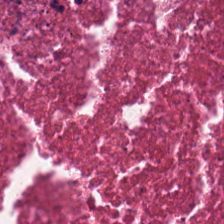0.5 microns per pixel; H&E-stained tissue section. {"tissue_type": "debris"}
